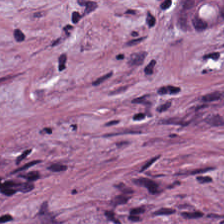Hematoxylin-and-eosin stained section — This patch shows cancer-associated stroma.
